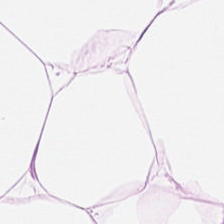Hematoxylin and eosin — This field is adipose.
